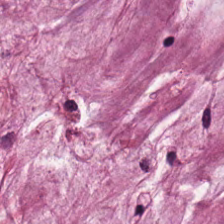Whole-slide-image patch; formalin-fixed paraffin-embedded section; H&E stain. This patch shows mucus.
